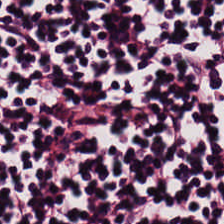Predominant tissue — lymphoid infiltrate.
